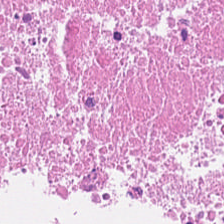Hematoxylin-and-eosin stained section — Histology — necrotic debris.
